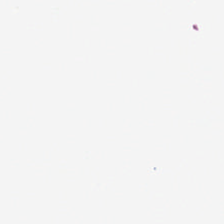H&E stain. Classification = background.
